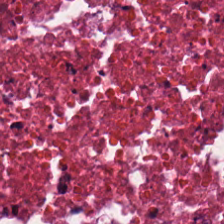This patch shows cellular debris.
